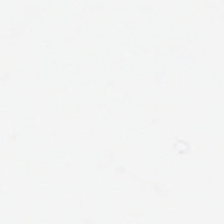Hematoxylin-and-eosin stained section; 224×224 pixel tile.
This patch shows empty background.
